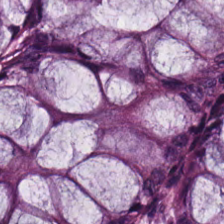H&E — This field is normal colon mucosa.
